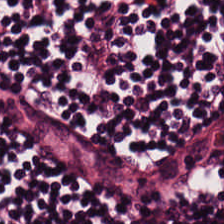Hematoxylin and eosin — Q: Identify the tissue.
A: Lymphocytic infiltrate.
